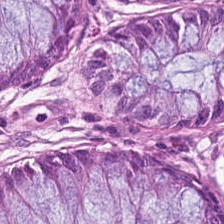H&E-stained tissue section. Whole-slide-image patch — Impression — benign colonic mucosa.
